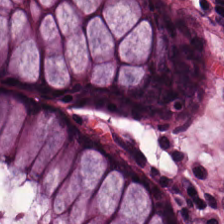H&E-stained tissue section. Histology — non-neoplastic colon mucosa.
